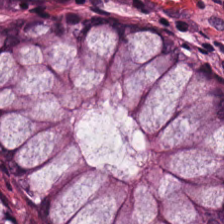FFPE. H&E — Finding — non-neoplastic colon mucosa.
